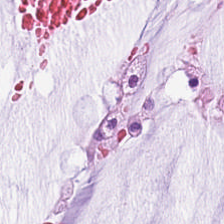224×224 pixel tile. Hematoxylin and eosin — Histology — mucus.
